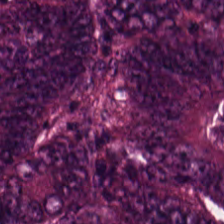H&E-stained tissue section — Showing tumor epithelium.
